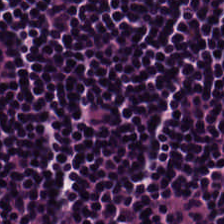Predominant tissue: lymphocyte aggregate.
